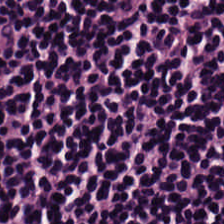H&E-stained tissue section.
Finding — lymphoid infiltrate.
